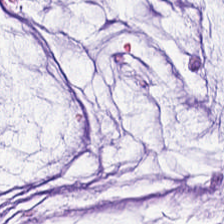0.5 µm per pixel · H&E-stained tissue section · 224×224 px patch — Mucus.
